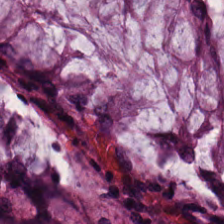WSI patch · hematoxylin and eosin · formalin-fixed paraffin-embedded section — Impression — normal colon mucosa.
